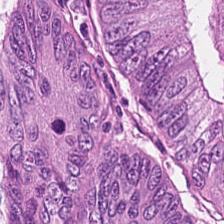Formalin-fixed paraffin-embedded section · WSI patch · H&E stain. Finding — adenocarcinoma.
